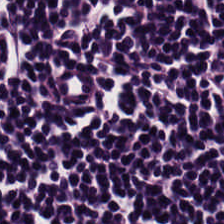Q: Identify the tissue.
A: The field shows lymphocyte aggregate.
